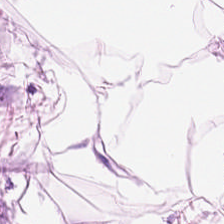{"tissue_type": "adipose tissue"}
